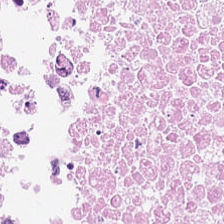H&E stain.
Predominant tissue — necrotic debris.
